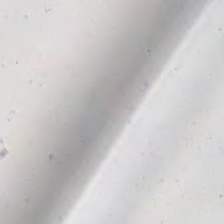Hematoxylin-and-eosin stained section · FFPE tissue section.
No tissue.
